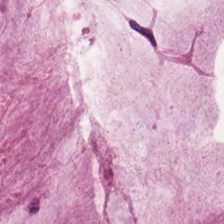Q: What is shown here?
A: This is mucus.
